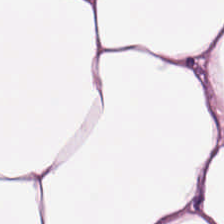Brightfield microscopy · H&E stain — Q: What type of tissue is this?
A: It is adipose.
